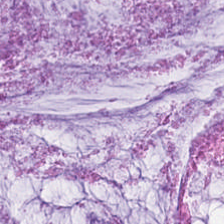H&E stain — Showing mucin.
